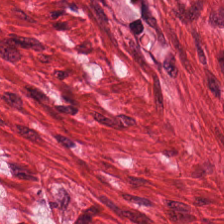Q: Classify this patch.
A: Muscularis.
